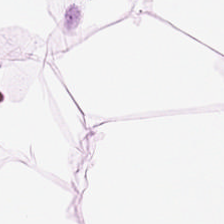H&E stain. 224×224 pixel tile.
Histology → adipocytes.
